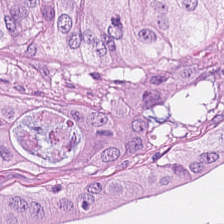Hematoxylin and eosin. Predominantly adenocarcinoma.
